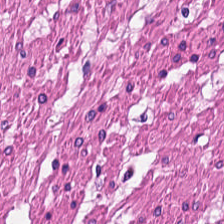Hematoxylin and eosin · whole-slide-image patch · 0.5 µm per pixel — Histology — smooth muscle.
